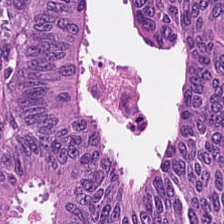224×224 px patch · formalin-fixed paraffin-embedded section · hematoxylin-and-eosin stained section.
This field is tumor epithelium.
